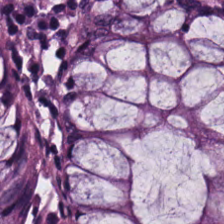H&E · 224×224 px patch. Q: What type of tissue is this?
A: Normal colon mucosa.
